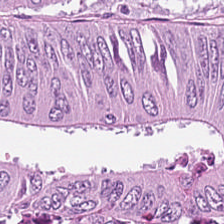Whole-slide-image patch; H&E stain; 224×224 px patch — Tissue class = colorectal adenocarcinoma epithelium.
